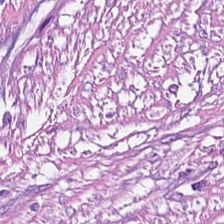Brightfield microscopy. H&E stain.
Showing tumor-associated stroma.
